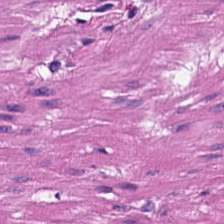H&E-stained tissue section — Tissue class = smooth muscle.
